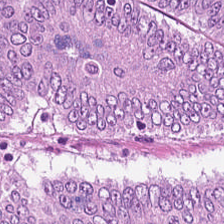FFPE. H&E stain. Predominant tissue — tumor epithelium.
